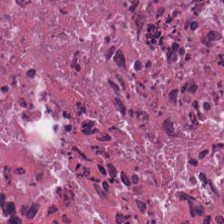H&E · WSI patch · 0.5 microns per pixel.
Predominantly necrotic debris.
